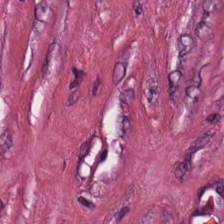Hematoxylin-and-eosin stained section.
{"tissue_type": "tumor stroma"}
